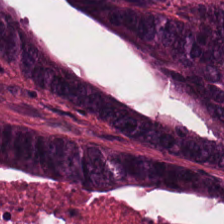Q: What type of tissue is this?
A: Malignant epithelium.
